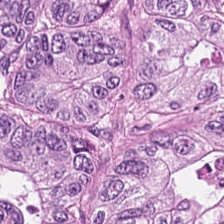H&E stain — Q: Classify this patch.
A: This is adenocarcinoma.
